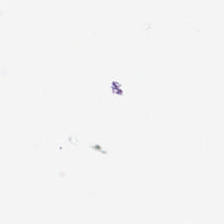H&E-stained tissue section — No tissue present; background only.
